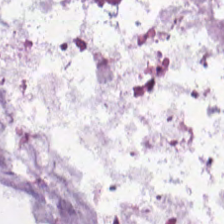H&E-stained tissue section · WSI patch · 20× equivalent magnification.
Q: What type of tissue is this?
A: This is extracellular mucin.
